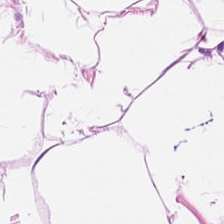The classification is adipocytes.
